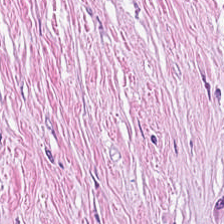H&E-stained tissue section.
Tissue: cancer-associated stroma.
